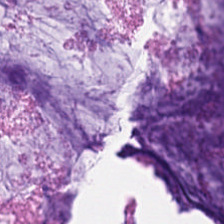Stain: H&E.
Tissue type: extracellular mucin.
